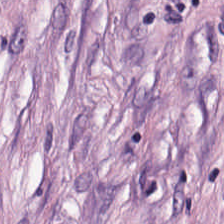Formalin-fixed paraffin-embedded section; hematoxylin-and-eosin stained section.
Showing desmoplastic stroma.
